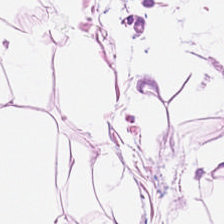0.5 µm/px. Hematoxylin and eosin. WSI patch. Predominantly adipose tissue.
